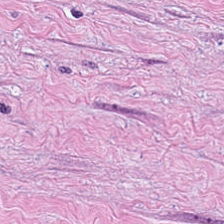Stain: hematoxylin-and-eosin stained section.
Acquisition: brightfield microscopy.
Preparation: formalin-fixed paraffin-embedded section.
Classification: tumor-associated stroma.
